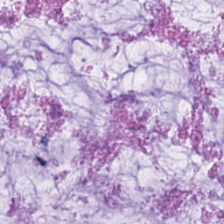H&E. {"tissue_type": "mucin"}
